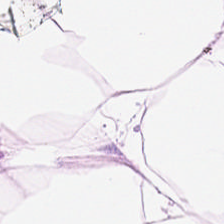Stain: H&E stain.
Tissue type: adipocytes.
